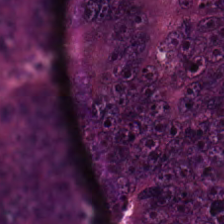Stain: hematoxylin and eosin.
Tissue class: malignant epithelium.
